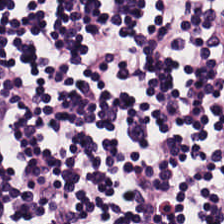Stain: H&E-stained tissue section.
Tissue class: lymphocytic infiltrate.
